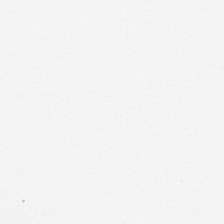Hematoxylin and eosin. Brightfield. The content is background (no tissue).
